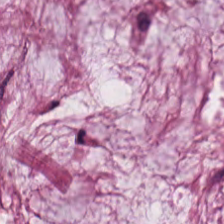Q: What is shown in this field?
A: Extracellular mucin.
